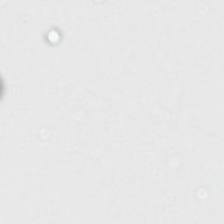WSI patch · H&E stain. Classification = empty background.
